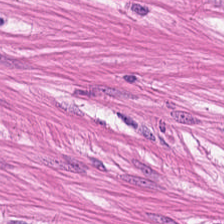H&E — Q: What is shown here?
A: The field shows smooth-muscle tissue.
